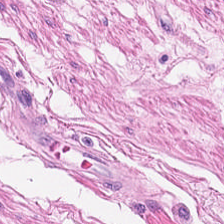H&E-stained tissue section; 224×224 px patch.
Tissue = smooth muscle.
